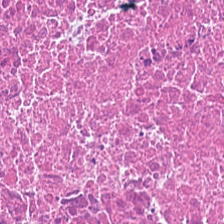Hematoxylin-and-eosin stained section · formalin-fixed paraffin-embedded section — Showing necrotic debris.
